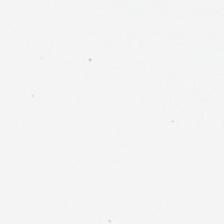20× equivalent magnification. H&E stain. WSI patch.
Field content: empty background.
